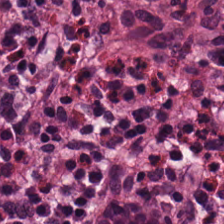Tissue type = normal colon mucosa.
